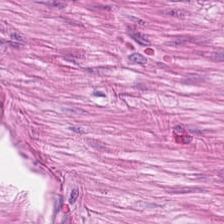Stain: hematoxylin-and-eosin stained section.
Tissue type: muscularis.
